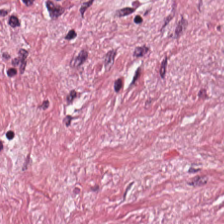Hematoxylin-and-eosin stained section — Cancer-associated stroma.
